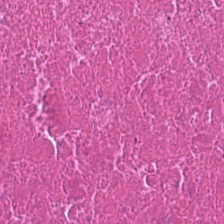Stain: hematoxylin-and-eosin stained section.
Tissue: debris.
